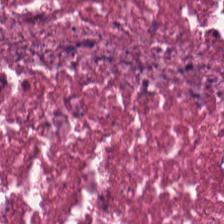H&E stain — Q: Classify this patch.
A: The field shows necrotic debris.
